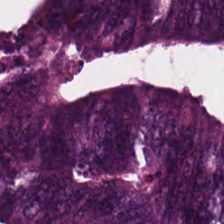Impression → colorectal adenocarcinoma epithelium.
